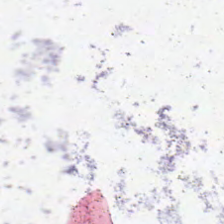Hematoxylin-and-eosin stained section — Field content: empty background.
